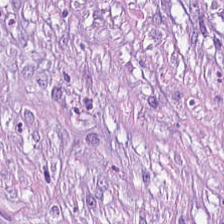H&E-stained tissue section. 0.5 microns per pixel. Showing tumor stroma.
